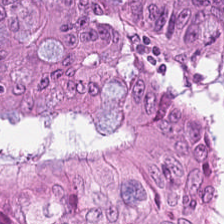224×224 px tile · FFPE tissue section · H&E.
Tissue class: colorectal adenocarcinoma epithelium.
